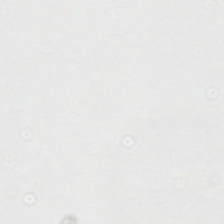H&E-stained tissue section. 0.5 µm/px. Brightfield microscopy — The field content is background.
